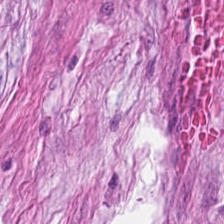FFPE. Hematoxylin and eosin.
{"tissue_type": "tumor-associated stroma"}
